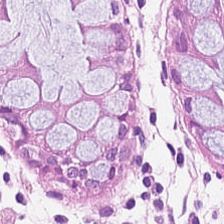0.5 µm per pixel; FFPE; H&E — Predominant tissue — normal colonic mucosa.
